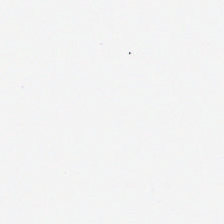Field content: background (no tissue).
